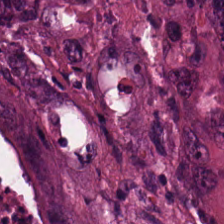Showing tumor epithelium.
